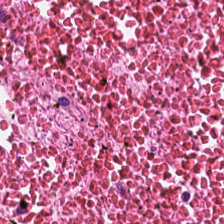This field is debris.
